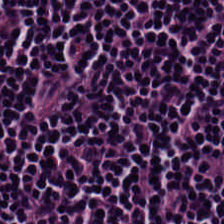Q: What tissue type is shown here?
A: Lymphocyte aggregate.
